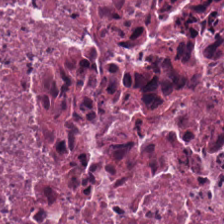H&E.
The predominant tissue is debris.
